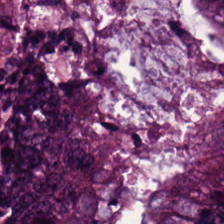{"tissue_type": "colorectal adenocarcinoma epithelium"}
